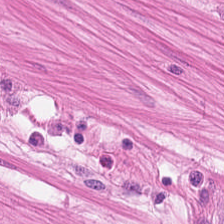Q: What tissue is shown?
A: This is muscularis.
